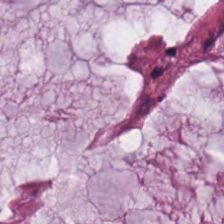FFPE tissue section; H&E; 224×224 px tile. Q: What is shown in this field?
A: This is mucin.
